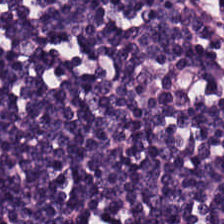H&E stain · brightfield microscopy · FFPE — Histology — lymphocyte aggregate.
